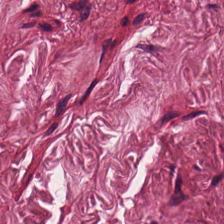The tissue class is cancer-associated stroma.
